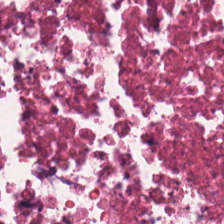Hematoxylin and eosin — Q: Classify this patch.
A: This is cellular debris.
